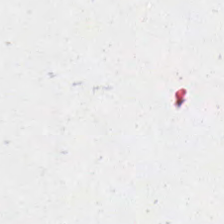Q: What is shown in this field?
A: This is no tissue.
